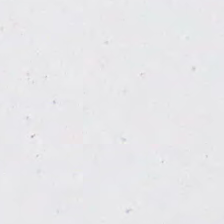WSI patch · H&E — Q: What does this patch show?
A: This is no tissue.
